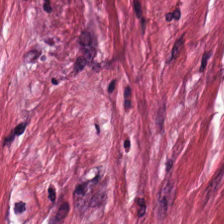This field is desmoplastic stroma.
